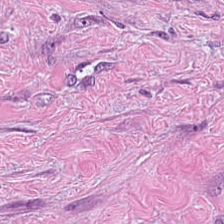H&E-stained section; the field shows tumor-associated stroma.
